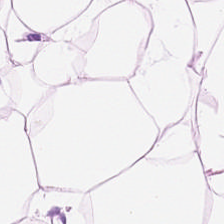Histology — adipose.
